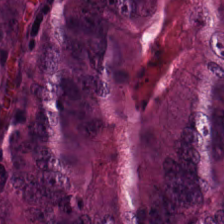Tissue class: malignant epithelium.
